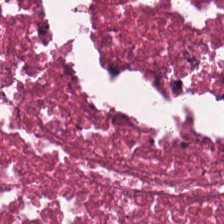Q: What is shown here?
A: It is necrotic debris.
